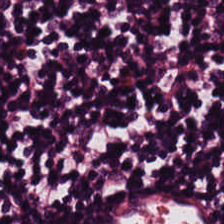0.5 µm/px; H&E.
Q: What does this patch show?
A: It is lymphocytic infiltrate.
